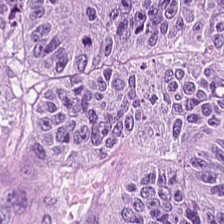H&E-stained tissue section showing colorectal adenocarcinoma epithelium.
